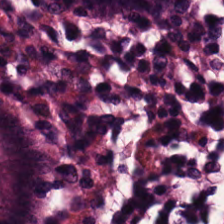Formalin-fixed paraffin-embedded section. H&E stain.
Tissue type = normal colonic mucosa.
